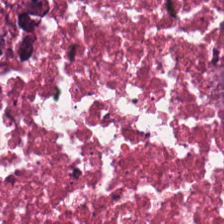Hematoxylin-and-eosin stained section · 224×224 pixel tile. Tissue type: necrotic debris.
